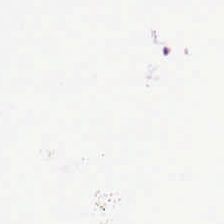H&E. Q: What is shown here?
A: It is background (no tissue).
